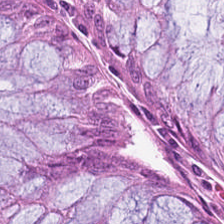Tissue class: non-neoplastic colon mucosa.
